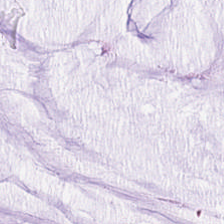Classification = extracellular mucin.
